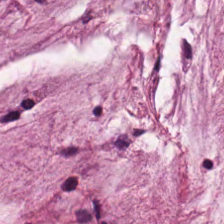Hematoxylin-and-eosin stained section; 224×224 px patch — The predominant tissue is extracellular mucin.
